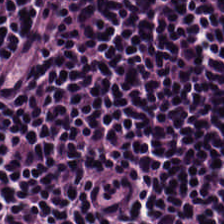H&E — Histology → lymphocytes.
